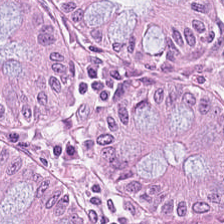H&E-stained tissue section showing normal colon mucosa.
